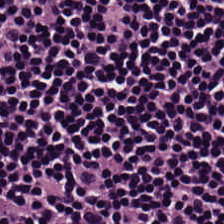FFPE tissue section · hematoxylin and eosin — Q: What type of tissue is this?
A: Lymphocytes.
